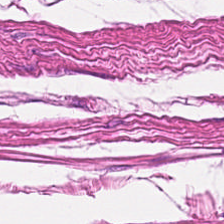H&E-stained tissue section — The tissue is smooth-muscle tissue.
